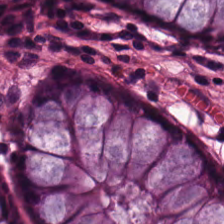H&E · 224×224 px patch — Q: What does this patch show?
A: Normal colonic mucosa.
